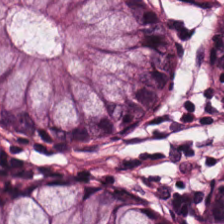WSI patch; hematoxylin-and-eosin stained section.
Q: What does this patch show?
A: This is normal colonic mucosa.
